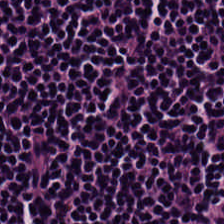Hematoxylin-and-eosin stained section — This field is lymphocyte aggregate.
